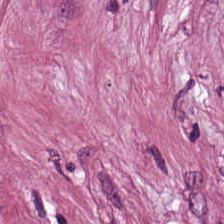Hematoxylin and eosin — Tissue type: desmoplastic stroma.
